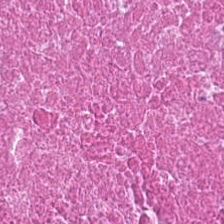FFPE · H&E-stained tissue section.
The predominant tissue is cellular debris.
